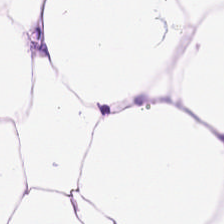Whole-slide-image patch. H&E stain — Predominant tissue = adipose.
